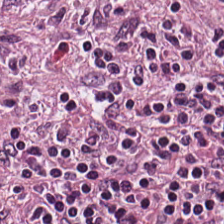FFPE tissue section · 224×224 px tile · H&E stain. Q: What is the predominant tissue type?
A: Lymphocytes.
